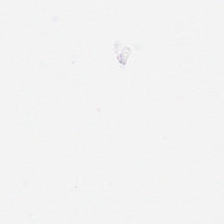H&E-stained tissue section · 224×224 px patch · formalin-fixed paraffin-embedded section — Background — no tissue in this field.
